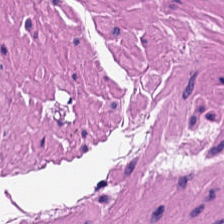H&E.
Classification = muscularis.
